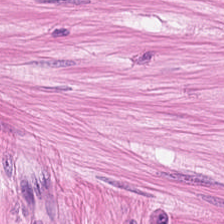224×224 px tile. H&E stain. The tissue class is muscularis.
